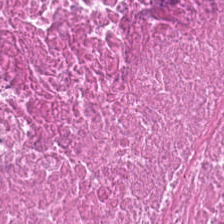H&E. Classification = necrotic debris.
